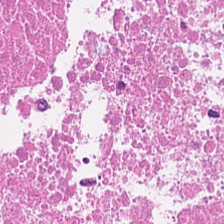H&E stain — Predominantly debris.
